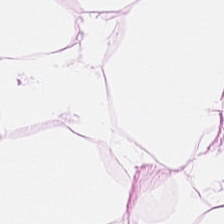224×224 px patch · 0.5 µm per pixel · H&E.
This patch shows adipose tissue.
